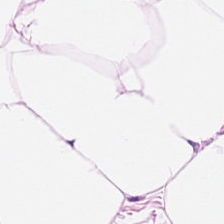H&E-stained tissue section · FFPE tissue section · 0.5 µm per pixel.
Tissue — fat tissue.
